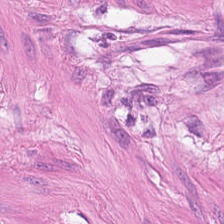Predominant tissue — smooth muscle.
